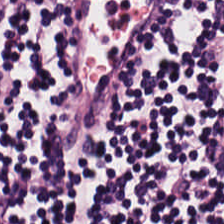Formalin-fixed paraffin-embedded section; 0.5 µm/px; hematoxylin-and-eosin stained section. This field is lymphocytes.
